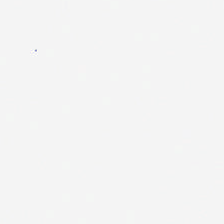Hematoxylin-and-eosin stained section · 20× equivalent magnification.
Histology → empty background.
